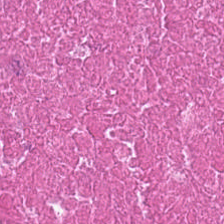Q: Identify the tissue.
A: This is cellular debris.
